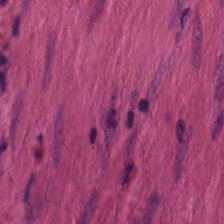H&E stain — Q: What is shown here?
A: It is smooth muscle.
